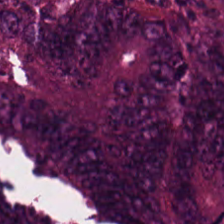H&E-stained tissue section. Q: What is shown in this field?
A: The field shows colorectal adenocarcinoma epithelium.
